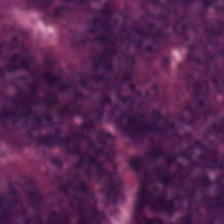WSI patch · hematoxylin and eosin. Histology → colorectal adenocarcinoma epithelium.
